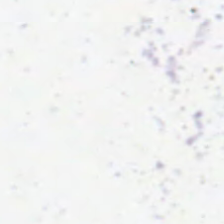This patch shows background (no tissue).
